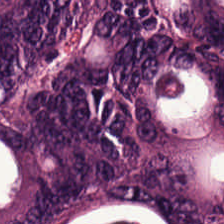Impression — adenocarcinoma.
